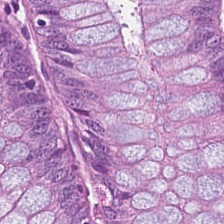H&E-stained tissue section. Tissue class = non-neoplastic colon mucosa.
